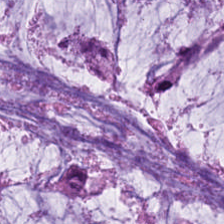H&E — Q: What is the predominant tissue type?
A: This is extracellular mucin.
